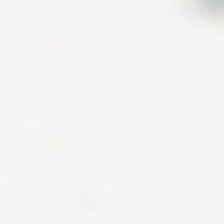H&E-stained tissue section.
Content: background (no tissue).
